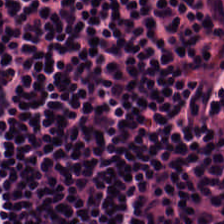FFPE; hematoxylin-and-eosin stained section; 224×224 pixel tile.
Q: Classify this patch.
A: It is lymphocytes.
